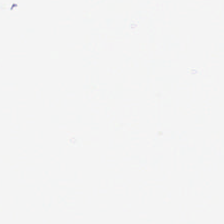224×224 px patch; H&E stain. This field is background (no tissue).
